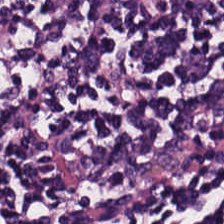Showing lymphocytes.
